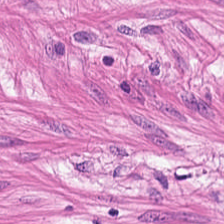H&E-stained tissue section. Q: What does this patch show?
A: Smooth muscle.
